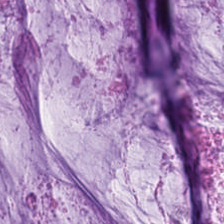Showing extracellular mucin.
